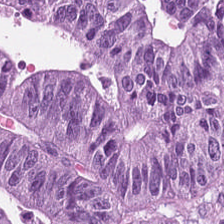Stain: hematoxylin-and-eosin stained section.
Tile size: 224×224 px patch.
Resolution: 20× equivalent magnification.
Tissue: adenocarcinoma.
